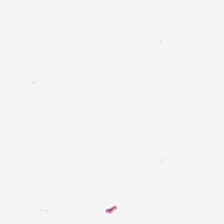Brightfield microscopy. Hematoxylin and eosin — Field content — background.
